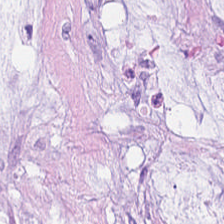H&E-stained tissue section. 224×224 px patch.
Predominantly mucus.
